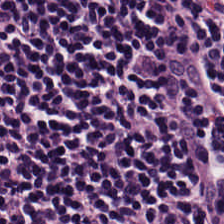H&E-stained tissue section.
This field is lymphocytes.
